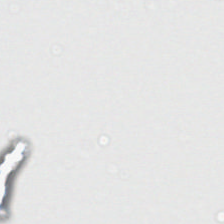Stain: H&E stain.
Content: empty background.
